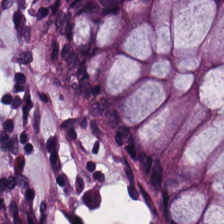H&E stain — This patch shows normal colon mucosa.
